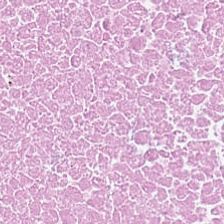H&E-stained tissue section.
Predominant tissue — necrotic debris.
